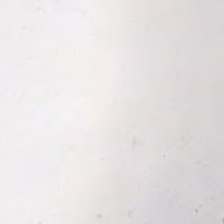H&E · 20× equivalent magnification — Empty field — empty background.
